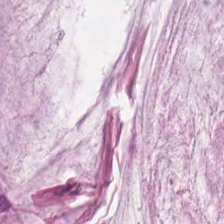Stain: hematoxylin and eosin.
Tissue type: mucus.
